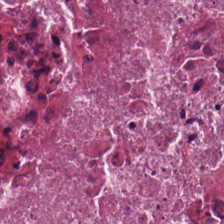H&E patch showing debris.
